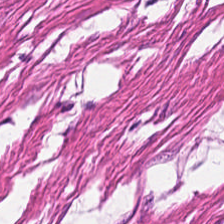H&E-stained tissue section. Q: What is the predominant tissue type?
A: This is muscularis.
